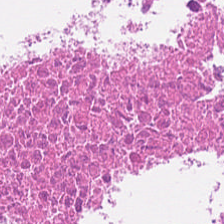Stain: hematoxylin and eosin.
Tissue class: necrotic debris.
